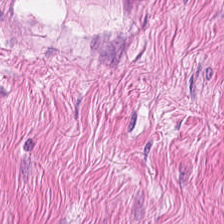Q: Classify this patch.
A: Muscularis.
